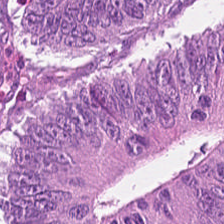Stain: H&E-stained tissue section.
Tissue type: malignant epithelium.
